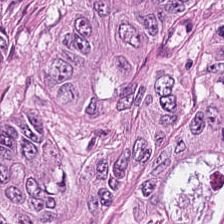Hematoxylin and eosin. The predominant tissue is tumor epithelium.
